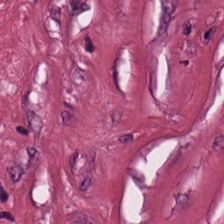Brightfield. Hematoxylin-and-eosin stained section. Formalin-fixed paraffin-embedded section.
Q: What is shown in this field?
A: Tumor-associated stroma.
